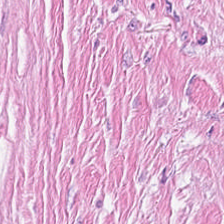Hematoxylin-and-eosin stained section — The predominant tissue is tumor stroma.
